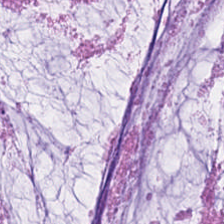H&E-stained tissue section — This patch shows mucus.
